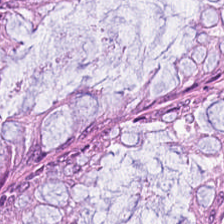Hematoxylin and eosin. Brightfield microscopy. Formalin-fixed paraffin-embedded section. Q: What does this patch show?
A: Benign colonic mucosa.
